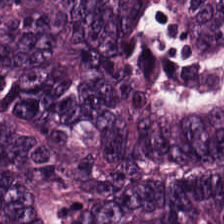Hematoxylin and eosin — The tissue type is adenocarcinoma.
